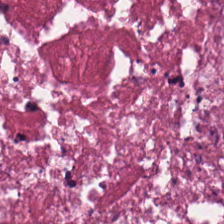H&E-stained tissue section. Brightfield microscopy. Predominantly cellular debris.
